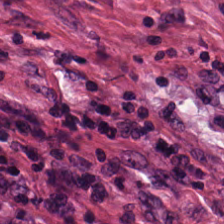Hematoxylin-and-eosin stained section.
Impression — cancer-associated stroma.
